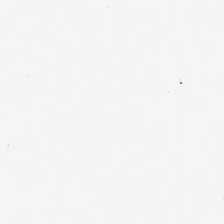Q: What is shown in this field?
A: This is empty background.
